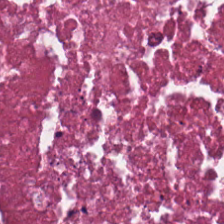Tissue type — cellular debris.
